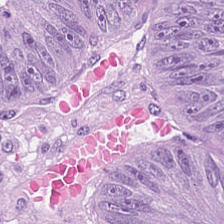Stain: H&E stain.
Predominant tissue: colorectal adenocarcinoma.
